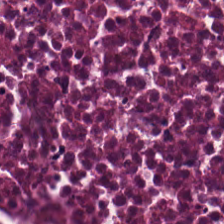Brightfield. Hematoxylin and eosin. Formalin-fixed paraffin-embedded section.
Tissue class — cellular debris.
